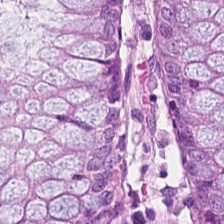Q: What type of tissue is this?
A: It is non-neoplastic colon mucosa.
